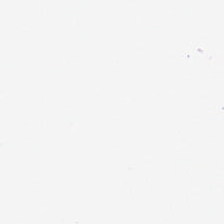H&E stain — Impression — empty background.
